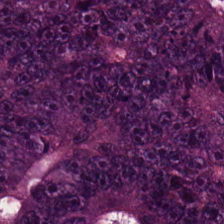Hematoxylin and eosin. 0.5 microns per pixel. 224×224 pixel tile.
Histology — colorectal adenocarcinoma.
